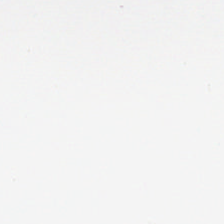Stain: H&E.
Resolution: 0.5 microns per pixel.
Tile size: 224×224 pixel tile.
Content: empty background.
